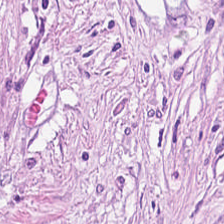H&E stain.
{"tissue_type": "tumor stroma"}
